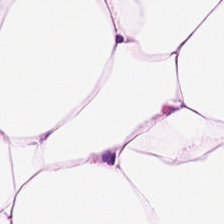Hematoxylin and eosin — Q: What is shown here?
A: The field shows adipose.
